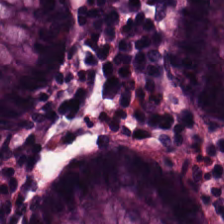Q: Identify the tissue.
A: Normal colonic mucosa.
